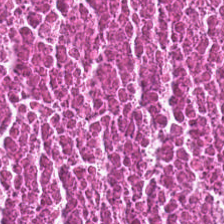H&E-stained tissue section showing necrotic debris.
